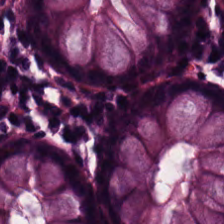Non-neoplastic colon mucosa.
